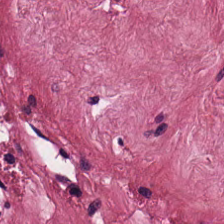Whole-slide-image patch · hematoxylin and eosin · 224×224 px tile. {"tissue_type": "tumor-associated stroma"}
